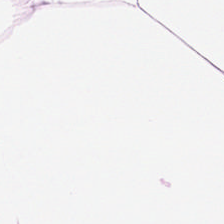0.5 µm/px. Brightfield microscopy. H&E stain.
This patch shows fat tissue.
